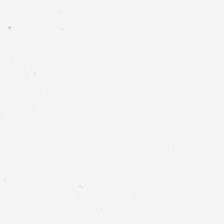H&E stain.
This field is background (no tissue).
